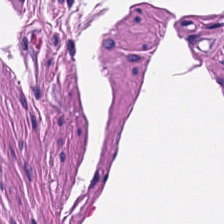H&E stain. 224×224 pixel tile.
Predominant tissue: smooth muscle.
